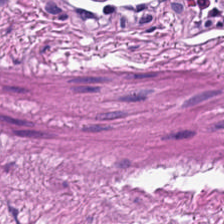Whole-slide-image patch · hematoxylin and eosin — Classification = smooth muscle.
